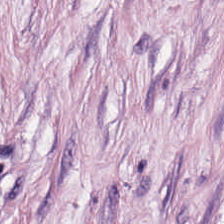H&E — Impression → cancer-associated stroma.
